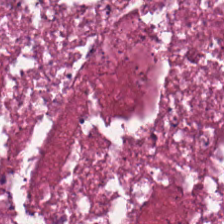224×224 px patch · FFPE tissue section · H&E.
The predominant tissue is cellular debris.
